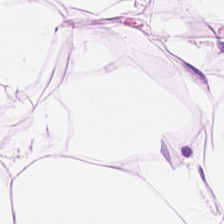FFPE · hematoxylin-and-eosin stained section. Q: What does this patch show?
A: It is adipose.
